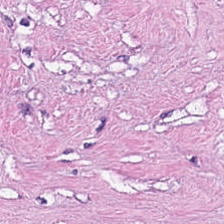H&E — Tissue type — cellular debris.
